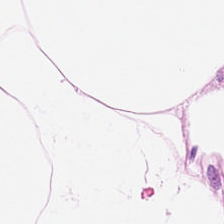0.5 µm/px; 224×224 px patch; hematoxylin and eosin — Predominant tissue = fat tissue.
